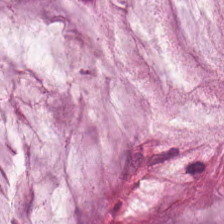WSI patch · 224×224 px tile · hematoxylin and eosin. Impression → extracellular mucin.
